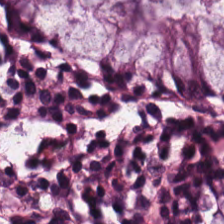Tissue — normal colon mucosa.
